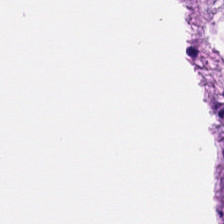H&E stain. 224×224 pixel tile. Brightfield. Tissue type: smooth-muscle tissue.
